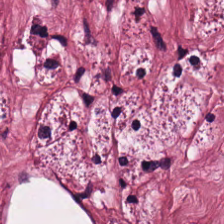H&E.
This patch shows desmoplastic stroma.
